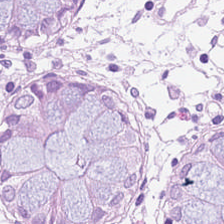Stain: hematoxylin-and-eosin stained section.
Tissue: normal colon mucosa.
